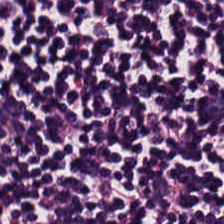H&E stain. 224×224 px tile.
The classification is lymphocytic infiltrate.
